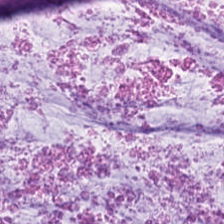H&E. Showing mucus.
